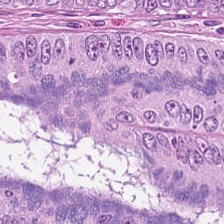Formalin-fixed paraffin-embedded section. Hematoxylin and eosin — This patch shows malignant epithelium.
